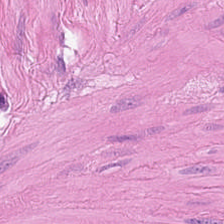224×224 pixel tile. H&E stain — Predominantly muscularis.
